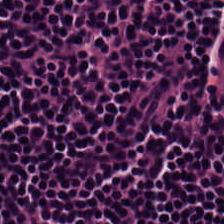Finding — lymphocytic infiltrate.
